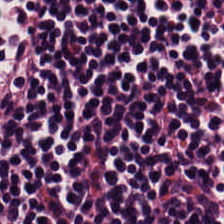H&E.
The predominant tissue is lymphocyte aggregate.
